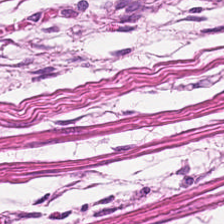{"tissue_type": "muscularis"}
